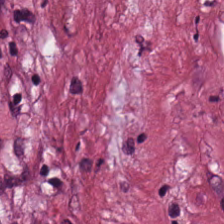H&E-stained tissue section · 224×224 pixel tile.
Tissue type: tumor-associated stroma.
